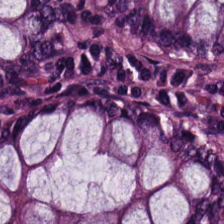H&E stain — The predominant tissue is benign colonic mucosa.
